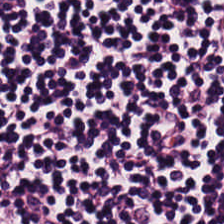H&E. Q: What tissue is shown?
A: This is lymphoid infiltrate.
